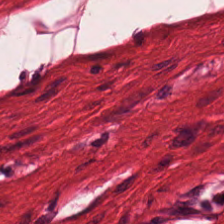224×224 px patch. Brightfield microscopy. Hematoxylin-and-eosin stained section — Finding → smooth muscle.
